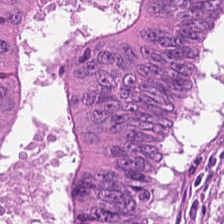Whole-slide-image patch. H&E stain. 224×224 px patch — Q: What tissue is shown?
A: The field shows adenocarcinoma.
